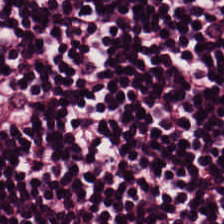Lymphocytes.
